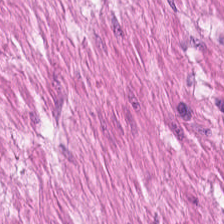0.5 µm per pixel · brightfield · H&E — {"tissue_type": "smooth muscle"}
